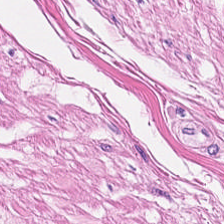Whole-slide-image patch · hematoxylin and eosin.
Showing muscularis.
